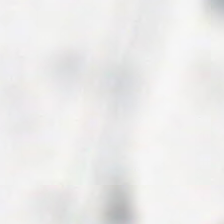H&E stain; 0.5 µm per pixel — Finding — empty background.
